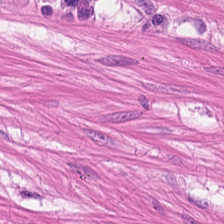224×224 px tile. Hematoxylin and eosin. This field is smooth-muscle tissue.
